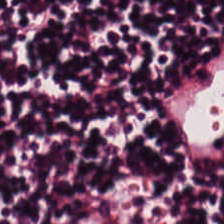Stain: hematoxylin-and-eosin stained section.
Tissue: lymphoid infiltrate.
